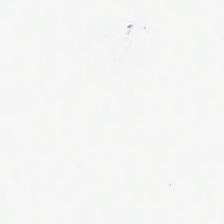Q: What is shown here?
A: The field shows empty background.
